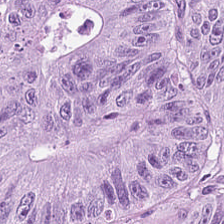H&E stain. Q: What does this patch show?
A: The field shows adenocarcinoma.
